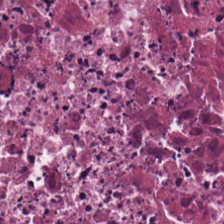H&E stain. FFPE.
Predominant tissue = debris.
